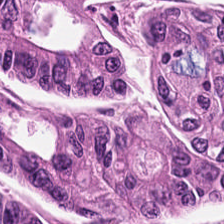H&E stain. Histology → malignant epithelium.
